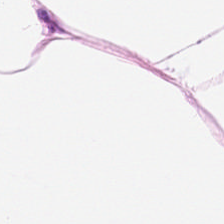H&E.
Tissue — fat tissue.
